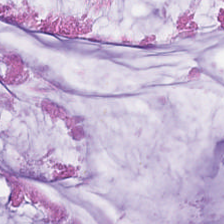Q: What type of tissue is this?
A: This is mucus.
